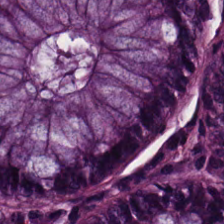0.5 µm per pixel; hematoxylin and eosin. Classification = non-neoplastic colon mucosa.
